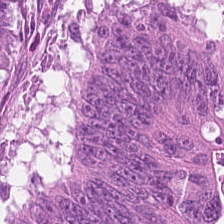Hematoxylin and eosin.
Q: What tissue is shown?
A: The field shows colorectal adenocarcinoma.
